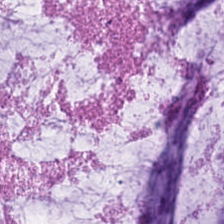Predominant tissue — extracellular mucin.
